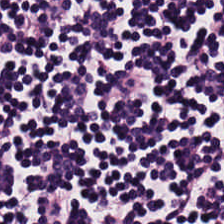Hematoxylin-and-eosin stained section · brightfield · 224×224 px tile. This field is lymphocyte aggregate.
